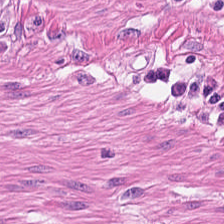Brightfield. Formalin-fixed paraffin-embedded section. H&E — Tissue class — smooth muscle.
